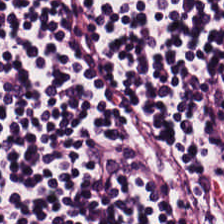Histology → lymphocytic infiltrate.
